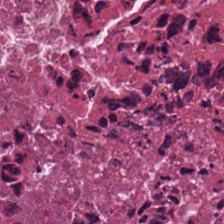H&E stain · whole-slide-image patch. Classification = necrotic debris.
